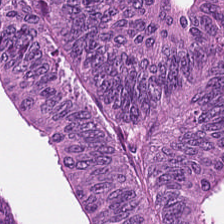FFPE · H&E.
Tissue — colorectal adenocarcinoma.
